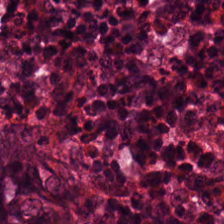H&E stain.
Predominantly normal colon mucosa.
